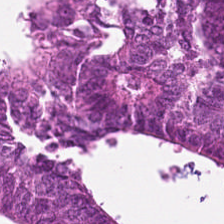Hematoxylin and eosin. 0.5 µm/px. Whole-slide-image patch — Tissue type: colorectal adenocarcinoma.
